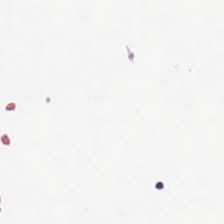FFPE tissue section; hematoxylin and eosin — This field is background (no tissue).
